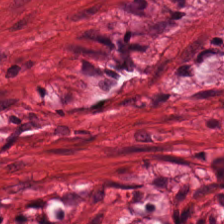Formalin-fixed paraffin-embedded section · hematoxylin and eosin.
Tissue = muscularis.
